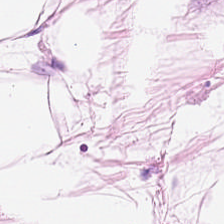Brightfield microscopy · hematoxylin and eosin. This patch shows adipocytes.
